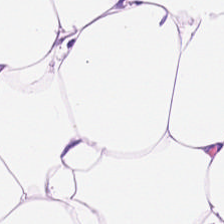Stain: H&E stain.
Classification: adipocytes.
